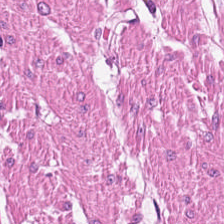0.5 µm per pixel · H&E-stained tissue section.
Tissue — smooth muscle.
